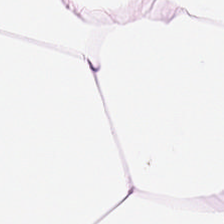Stain: H&E stain.
Resolution: 0.5 µm per pixel.
Classification: fat tissue.
